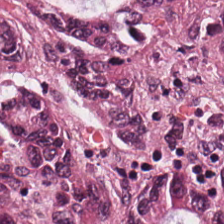20× equivalent magnification; hematoxylin and eosin.
Tissue type — colorectal adenocarcinoma.
